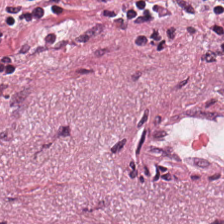Classification = cancer-associated stroma.
